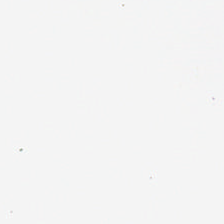Hematoxylin-and-eosin stained section — Classification — no tissue.
